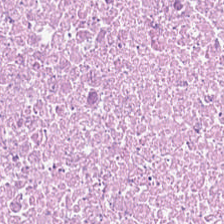H&E.
The predominant tissue is cellular debris.
